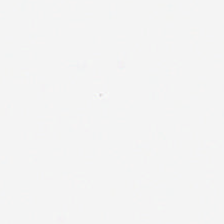Stain: hematoxylin-and-eosin stained section.
Field content: no tissue.
